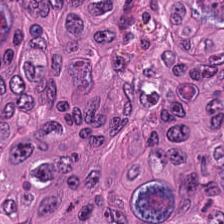Hematoxylin-and-eosin stained section — This patch shows colorectal adenocarcinoma epithelium.
